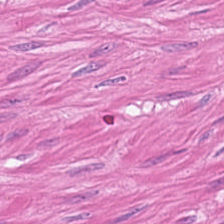0.5 microns per pixel · brightfield microscopy · H&E.
This field is smooth-muscle tissue.
